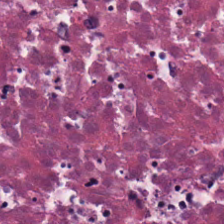0.5 µm per pixel. H&E stain.
Predominant tissue: necrotic debris.
